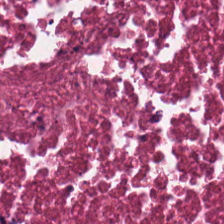H&E — {"tissue_type": "debris"}
